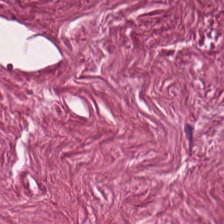Hematoxylin-and-eosin stained section.
Q: What is shown in this field?
A: This is desmoplastic stroma.
